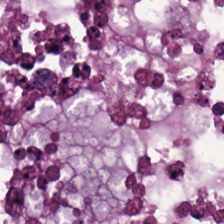Q: Identify the tissue.
A: Tumor epithelium.
